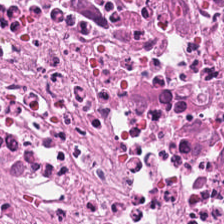224×224 pixel tile; hematoxylin and eosin; 20× equivalent magnification.
Q: What tissue type is shown here?
A: The field shows cellular debris.
